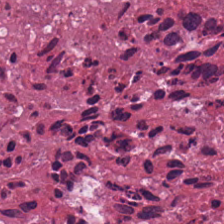224×224 pixel tile; 0.5 µm/px; H&E stain.
Showing necrotic debris.
